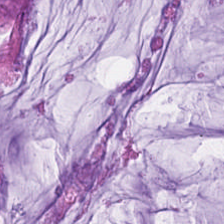Stain: H&E-stained tissue section.
Tissue type: mucus.
